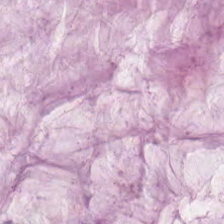H&E stain.
This field is extracellular mucin.
